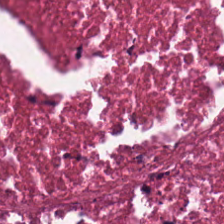H&E — Predominant tissue = necrotic debris.
